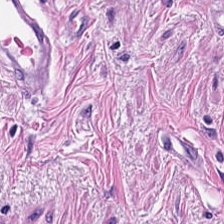Hematoxylin and eosin; FFPE tissue section; whole-slide-image patch. Finding — smooth-muscle tissue.
